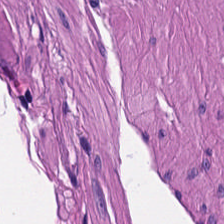0.5 µm per pixel. Hematoxylin and eosin. FFPE tissue section — Tissue class = muscularis.
